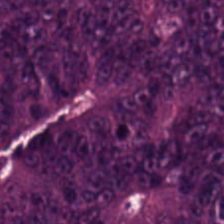224×224 px patch · H&E stain · 0.5 microns per pixel. This patch shows malignant epithelium.
